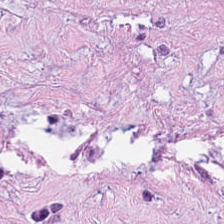0.5 µm/px. Hematoxylin and eosin. Cancer-associated stroma.
